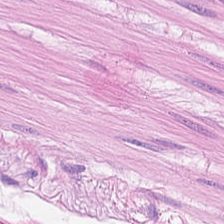Hematoxylin and eosin.
Smooth muscle.
